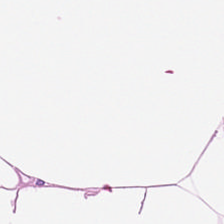Classification: fat tissue.
